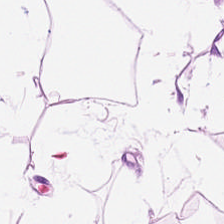Whole-slide-image patch; 224×224 px patch; hematoxylin and eosin — Impression → adipose.
